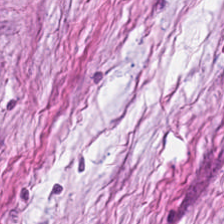Formalin-fixed paraffin-embedded section; hematoxylin and eosin; brightfield microscopy — Tissue — cancer-associated stroma.
